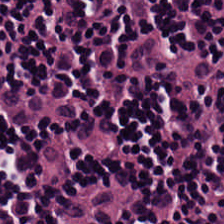H&E.
This field is lymphocytes.
